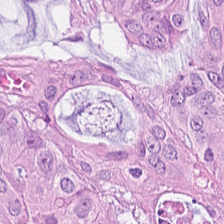{"tissue_type": "colorectal adenocarcinoma"}
